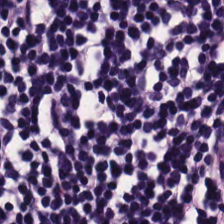224×224 pixel tile; formalin-fixed paraffin-embedded section; H&E.
The predominant tissue is lymphocyte aggregate.
